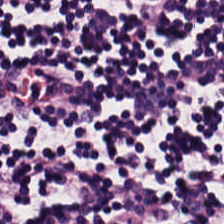Hematoxylin-and-eosin stained section — Histology → lymphocytic infiltrate.
